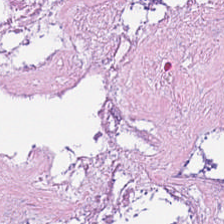Stain: H&E-stained tissue section.
Tissue type: cellular debris.
